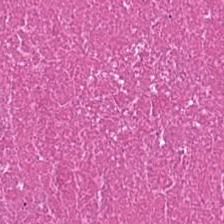Brightfield microscopy. Hematoxylin and eosin. 224×224 px patch — Finding → debris.
